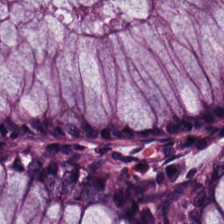20× equivalent magnification. Hematoxylin-and-eosin stained section. 224×224 pixel tile.
Histology → normal colon mucosa.
